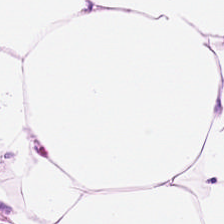H&E; FFPE — Predominantly adipose.
